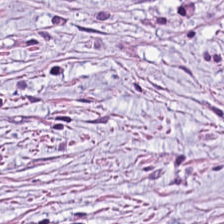H&E stain.
Predominantly cancer-associated stroma.
